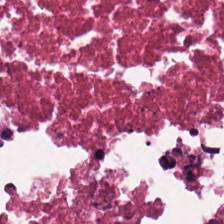Stain: hematoxylin and eosin.
Resolution: 20× equivalent magnification.
Tissue type: cellular debris.
